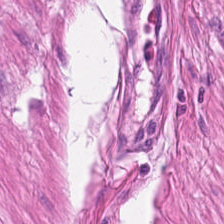0.5 µm/px. Hematoxylin-and-eosin stained section — Smooth muscle.
